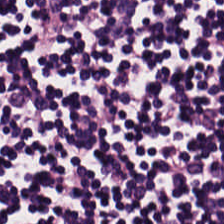H&E stain. Showing lymphocytic infiltrate.
